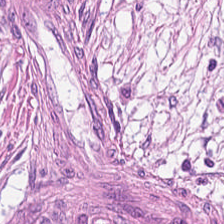Stain: hematoxylin and eosin.
Tile size: 224×224 px tile.
Predominant tissue: cancer-associated stroma.
